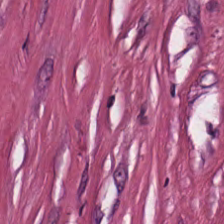H&E-stained tissue section.
Q: Classify this patch.
A: This is desmoplastic stroma.
